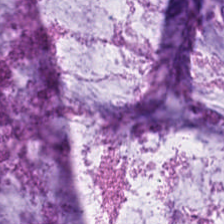The tissue type is extracellular mucin.
